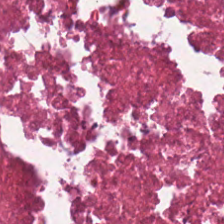H&E stain · 0.5 µm/px. The classification is necrotic debris.
